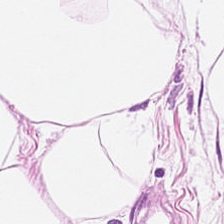Tissue type: adipose tissue.
